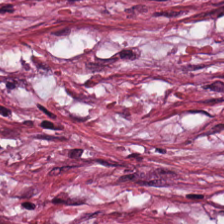0.5 µm per pixel · H&E · brightfield — Tissue: tumor-associated stroma.
